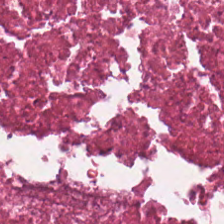Stain: hematoxylin and eosin.
Tissue: necrotic debris.
